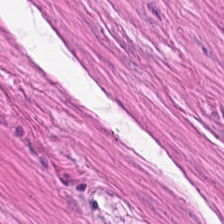Predominantly smooth-muscle tissue.
